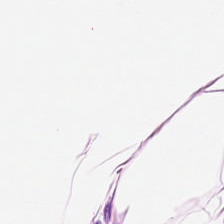Tissue: adipose tissue.
